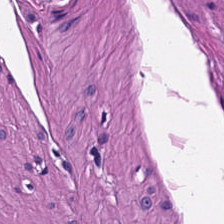Hematoxylin and eosin.
The classification is smooth-muscle tissue.
